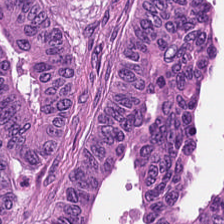WSI patch; H&E stain.
Classification: colorectal adenocarcinoma.
